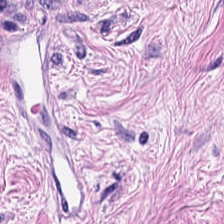H&E stain — Q: Classify this patch.
A: The field shows tumor stroma.
